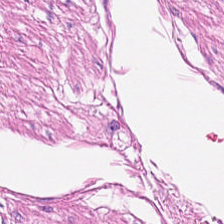H&E — This patch shows muscularis.
